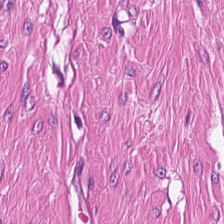Stain: hematoxylin-and-eosin stained section.
Tissue class: muscularis.
